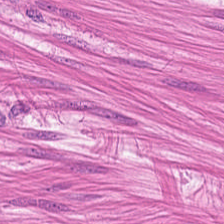FFPE · H&E stain. Showing smooth muscle.
